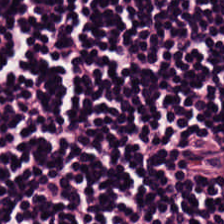H&E stain; formalin-fixed paraffin-embedded section — This field is lymphocytes.
